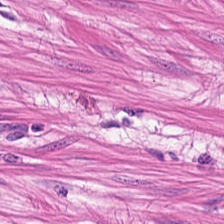Brightfield microscopy; H&E stain; FFPE tissue section.
Showing muscularis.
